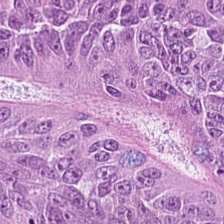Hematoxylin-and-eosin stained section. Q: What type of tissue is this?
A: It is tumor epithelium.
